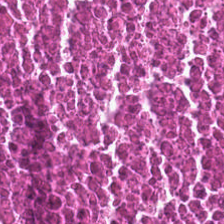Stain: H&E-stained tissue section.
Tile size: 224×224 pixel tile.
Tissue class: debris.
